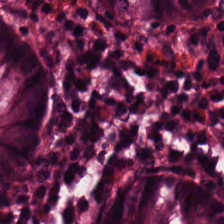H&E-stained tissue section. Tissue class: non-neoplastic colon mucosa.
